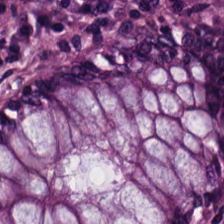Tissue: non-neoplastic colon mucosa.
